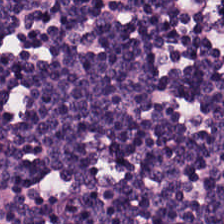H&E-stained tissue section.
Showing lymphoid infiltrate.
